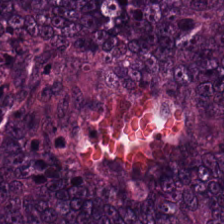224×224 px patch; hematoxylin-and-eosin stained section; FFPE.
Tissue — malignant epithelium.
